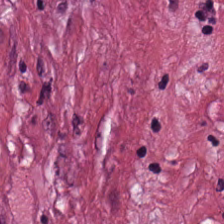H&E. Cancer-associated stroma.
